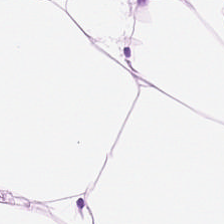Whole-slide-image patch. Hematoxylin-and-eosin stained section. Formalin-fixed paraffin-embedded section. {"tissue_type": "adipocytes"}
